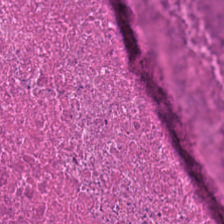H&E stain · FFPE · 0.5 microns per pixel. The tissue here is necrotic debris.
